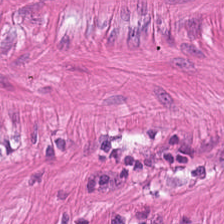Muscularis.
